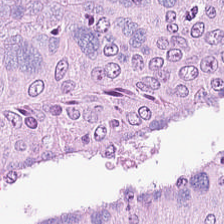The tissue is malignant epithelium.
